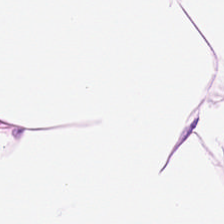Stain: H&E.
Classification: adipocytes.
